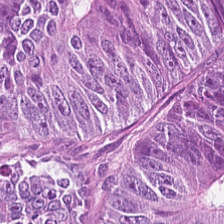H&E-stained tissue section — Predominant tissue = colorectal adenocarcinoma.
